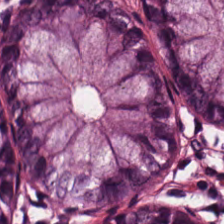Hematoxylin-and-eosin stained section · brightfield microscopy. {"tissue_type": "benign colonic mucosa"}
